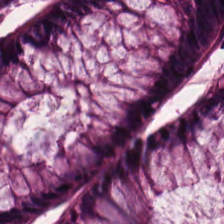H&E. Finding → benign colonic mucosa.
